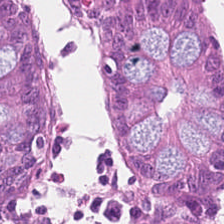Predominantly benign colonic mucosa.
